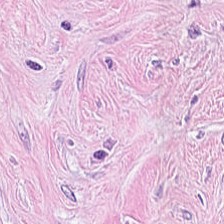Hematoxylin-and-eosin stained section.
This field is tumor-associated stroma.
